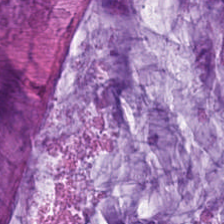Hematoxylin-and-eosin stained section.
The classification is mucus.
